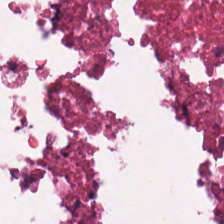Classification = debris.
